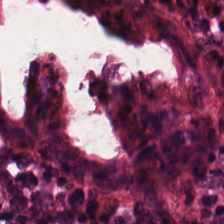Stain: hematoxylin and eosin.
Preparation: FFPE.
Classification: normal colonic mucosa.
